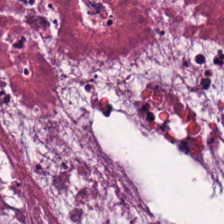This field is cellular debris.
